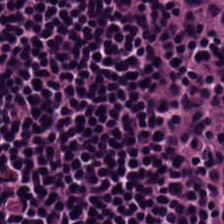H&E stain — Predominant tissue: lymphoid infiltrate.
